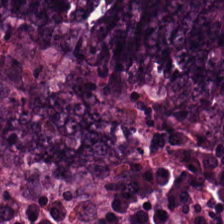WSI patch; H&E — Colorectal adenocarcinoma.
